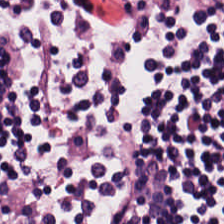Stain: H&E stain.
Predominant tissue: lymphocytes.
